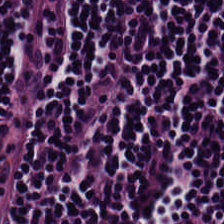Hematoxylin-and-eosin stained section; 0.5 µm/px — The tissue here is lymphocytic infiltrate.
